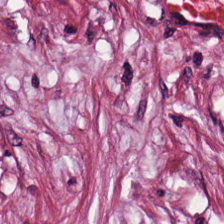Hematoxylin-and-eosin stained section. Q: Classify this patch.
A: This is cancer-associated stroma.
